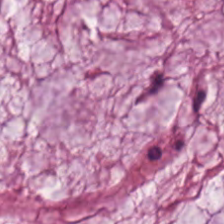H&E-stained tissue section · WSI patch · 224×224 px patch — Mucin.
